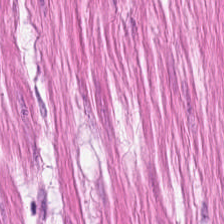Stain: H&E-stained tissue section.
Tissue type: smooth-muscle tissue.
